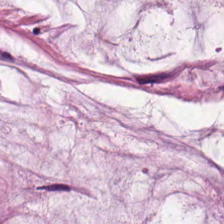H&E · WSI patch — Predominant tissue — mucus.
